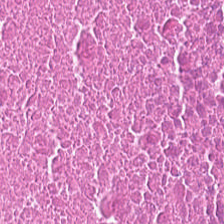Formalin-fixed paraffin-embedded section. H&E stain. 224×224 pixel tile.
This patch shows necrotic debris.
